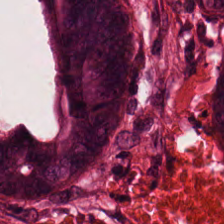0.5 microns per pixel · 224×224 pixel tile · H&E — Q: What tissue is shown?
A: This is adenocarcinoma.
